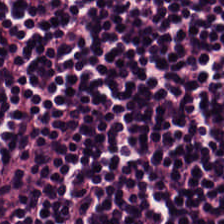Hematoxylin and eosin — Q: What tissue type is shown here?
A: It is lymphocytic infiltrate.
